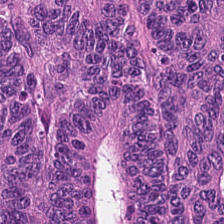H&E.
This field is colorectal adenocarcinoma epithelium.
